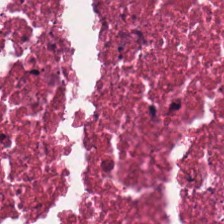Hematoxylin-and-eosin stained section.
{"tissue_type": "necrotic debris"}
